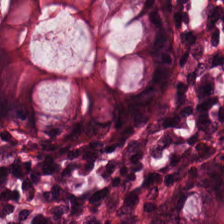224×224 px patch; hematoxylin-and-eosin stained section; FFPE tissue section — Finding → normal colon mucosa.
